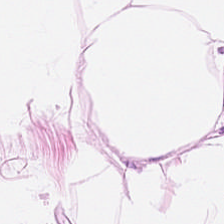Hematoxylin and eosin.
Q: What tissue type is shown here?
A: Fat tissue.
